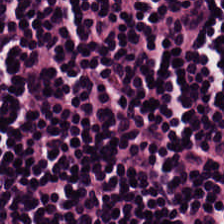H&E-stained section; the field shows lymphoid infiltrate.
